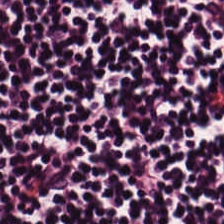{"tissue_type": "lymphoid infiltrate"}
